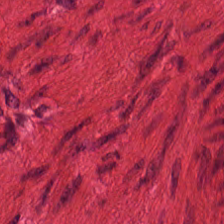Hematoxylin and eosin.
This patch shows muscularis.
